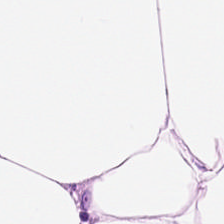The tissue class is adipose.
